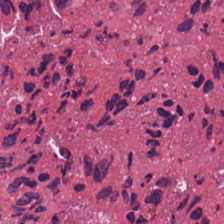The predominant tissue is cellular debris.
